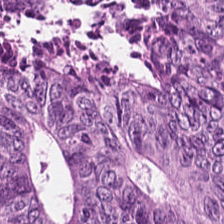Brightfield · H&E-stained tissue section.
Tissue: malignant epithelium.
